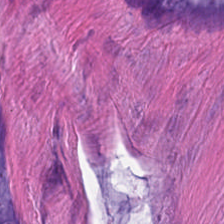H&E stain. Tissue type — mucus.
